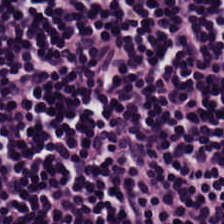H&E-stained tissue section · whole-slide-image patch — Tissue type — lymphocytic infiltrate.
